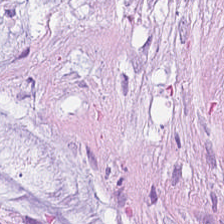The classification is mucus.
